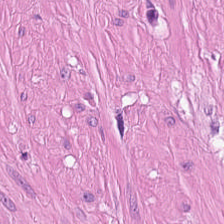Hematoxylin-and-eosin stained section. Finding — muscularis.
